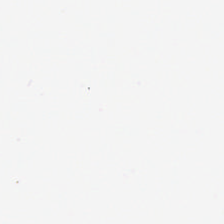H&E.
Q: What is shown here?
A: The field shows empty background.
